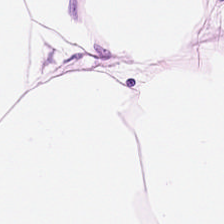The tissue here is adipocytes.
